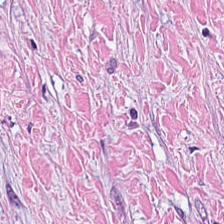Stain: H&E-stained tissue section.
Resolution: 0.5 µm per pixel.
Tissue class: desmoplastic stroma.
